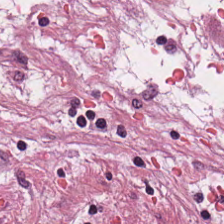224×224 px tile · hematoxylin-and-eosin stained section · brightfield — This patch shows desmoplastic stroma.
